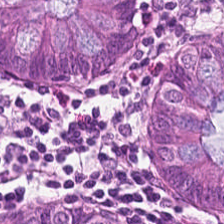Classification: normal colon mucosa.
